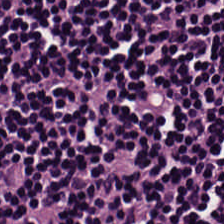The tissue here is lymphocytic infiltrate.
